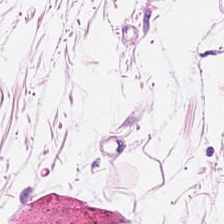H&E-stained tissue section. Histology — adipocytes.
